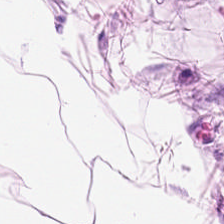Stain: H&E.
Acquisition: brightfield microscopy.
Tissue type: adipocytes.
